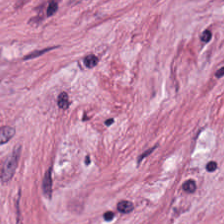This patch shows cancer-associated stroma.
